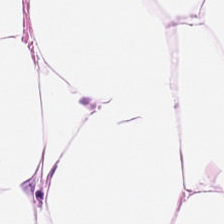Stain: hematoxylin and eosin.
Tissue type: adipose.
